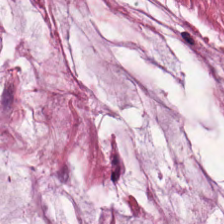Hematoxylin and eosin.
This patch shows extracellular mucin.
